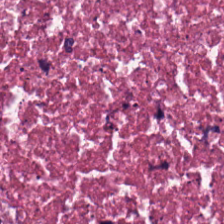Classification = cellular debris.
